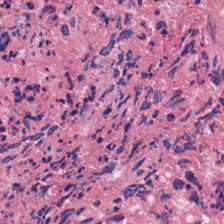Hematoxylin and eosin. Whole-slide-image patch. 224×224 px patch. Cellular debris.
